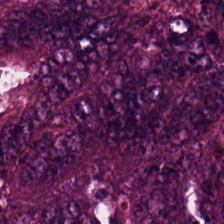Hematoxylin-and-eosin stained section. This patch shows malignant epithelium.
